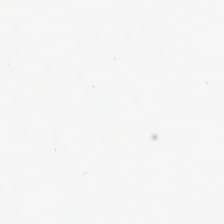H&E stain; brightfield; 0.5 µm/px — This patch shows background (no tissue).
